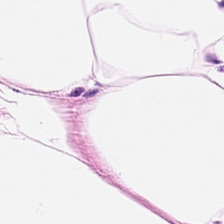H&E stain.
This field is adipocytes.
